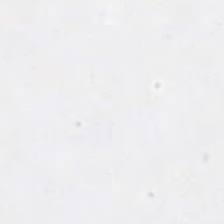FFPE · hematoxylin and eosin — Impression — no tissue.
